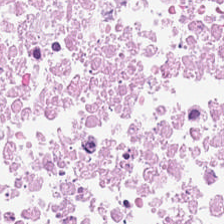H&E. 0.5 µm per pixel. Predominant tissue — necrotic debris.
